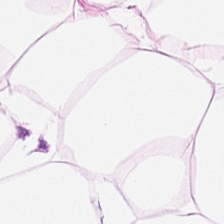The tissue class is adipose.
